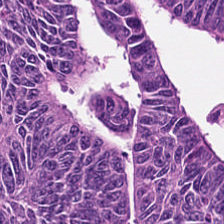H&E-stained tissue section.
{"tissue_type": "adenocarcinoma"}
